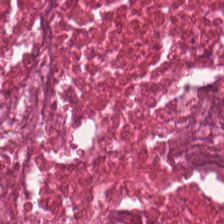H&E-stained tissue section.
Classification — cellular debris.
